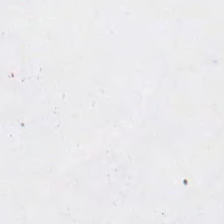H&E stain.
Empty field — background.
